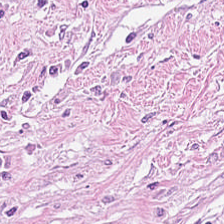H&E stain.
{"tissue_type": "tumor stroma"}
